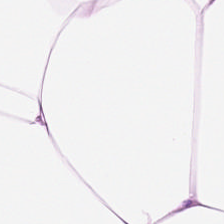Predominant tissue = adipose tissue.
